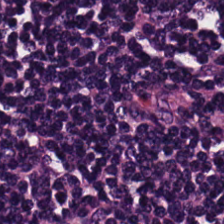FFPE; H&E stain — Finding → lymphocyte aggregate.
